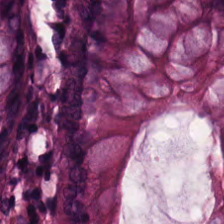H&E-stained tissue section.
{"tissue_type": "normal colon mucosa"}
